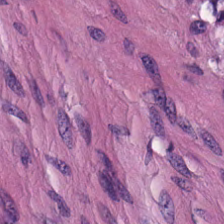Hematoxylin and eosin.
This field is smooth muscle.
